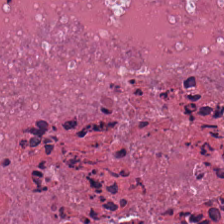H&E-stained section; the field shows necrotic debris.
